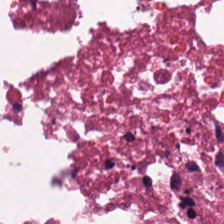H&E stain — {"tissue_type": "necrotic debris"}
